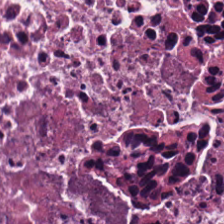H&E stain. Histology — debris.
